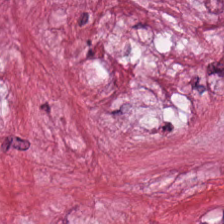H&E stain.
The tissue here is tumor-associated stroma.
